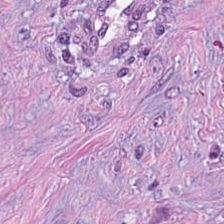Classification = tumor stroma.
